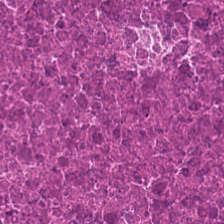H&E stain. Q: Classify this patch.
A: It is debris.
